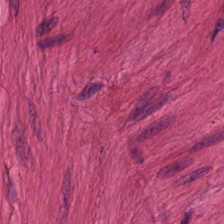Smooth-muscle tissue.
